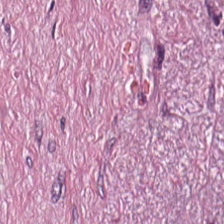Brightfield; H&E-stained tissue section.
Q: Identify the tissue.
A: The field shows tumor stroma.
